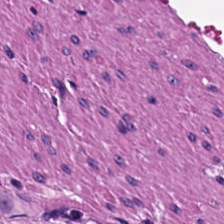FFPE. H&E stain. 224×224 px patch. Q: What is the predominant tissue type?
A: Smooth muscle.
